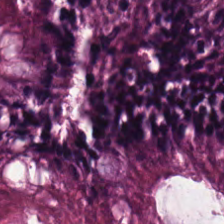Stain: hematoxylin and eosin.
Classification: non-neoplastic colon mucosa.
